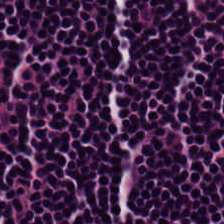FFPE tissue section. H&E-stained tissue section. Tissue type: lymphoid infiltrate.
